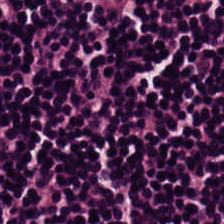H&E. This patch shows lymphocytic infiltrate.
